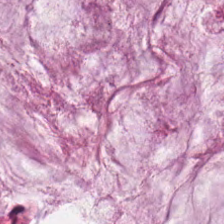The predominant tissue is mucus.
